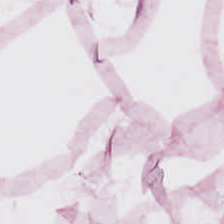H&E stain · brightfield microscopy · FFPE.
Q: What does this patch show?
A: It is adipose tissue.
